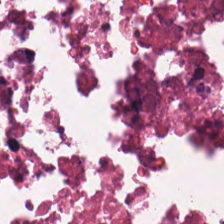Stain: H&E-stained tissue section.
Acquisition: brightfield.
Predominant tissue: cellular debris.
